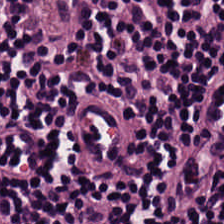Hematoxylin-and-eosin stained section. Tissue class: lymphoid infiltrate.
